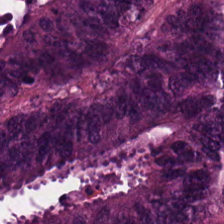Hematoxylin and eosin. This patch shows adenocarcinoma.
